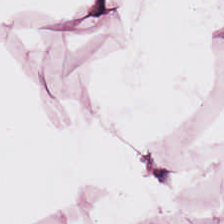This patch shows adipose.
